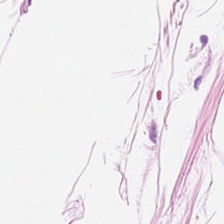H&E-stained section; the field shows adipocytes.
